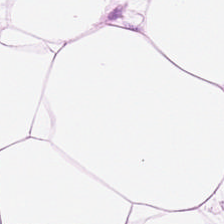H&E-stained tissue section — Showing adipose tissue.
